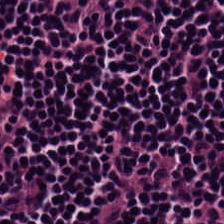H&E-stained tissue section.
This patch shows lymphocytes.
